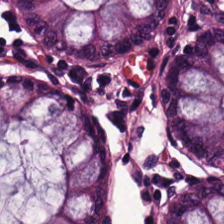Formalin-fixed paraffin-embedded section · H&E.
Showing non-neoplastic colon mucosa.
